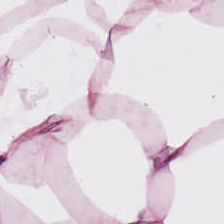H&E-stained tissue section. The tissue here is adipose.
